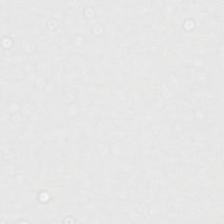Q: What is shown in this field?
A: This is empty background.
